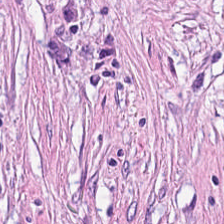Q: What tissue type is shown here?
A: Cancer-associated stroma.
